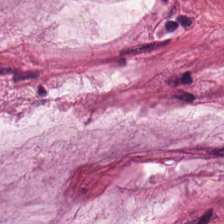Stain: H&E.
Tissue class: mucus.
